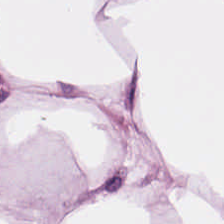0.5 µm per pixel. H&E-stained tissue section.
Impression → fat tissue.
